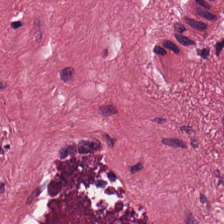H&E stain — The tissue here is tumor stroma.
